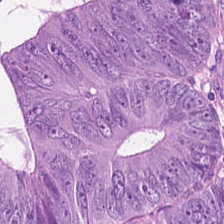Hematoxylin and eosin — Q: What is the predominant tissue type?
A: The field shows colorectal adenocarcinoma.
